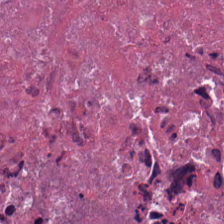H&E — debris.
